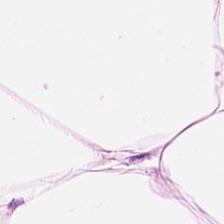H&E.
Q: What type of tissue is this?
A: This is fat tissue.
